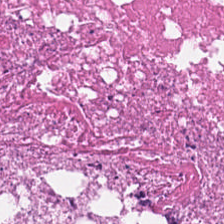Stain: H&E.
Acquisition: brightfield microscopy.
Tissue type: cellular debris.
